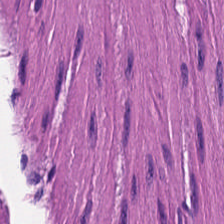Hematoxylin and eosin. 224×224 pixel tile. FFPE tissue section.
Tissue type: muscularis.
